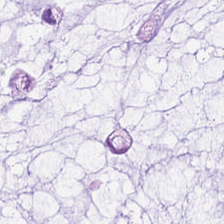0.5 µm/px. H&E-stained tissue section.
This field is mucin.
